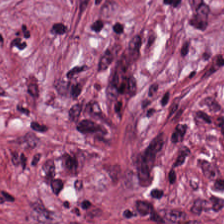20× equivalent magnification; H&E-stained tissue section; 224×224 pixel tile — Q: Classify this patch.
A: Tumor-associated stroma.
